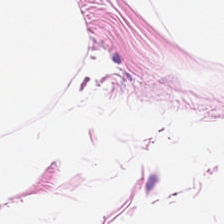Whole-slide-image patch; H&E — This patch shows fat tissue.
